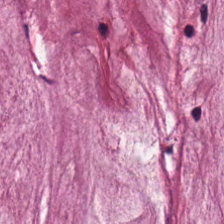Hematoxylin-and-eosin stained section. Showing extracellular mucin.
